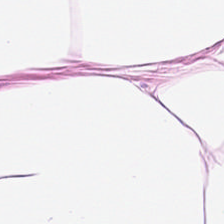Stain: hematoxylin and eosin.
Predominant tissue: adipose.
